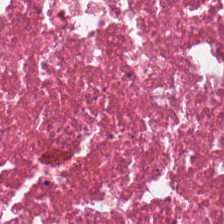H&E — necrotic debris.
